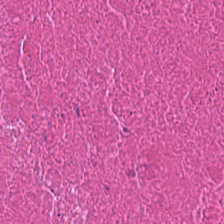FFPE tissue section. WSI patch. H&E-stained tissue section — Tissue — debris.
